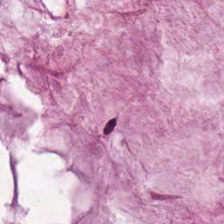Hematoxylin-and-eosin stained section — Q: What is shown in this field?
A: Extracellular mucin.
